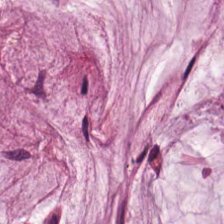Tissue type = extracellular mucin.
